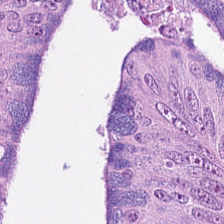Stain: H&E stain.
Predominant tissue: adenocarcinoma.
